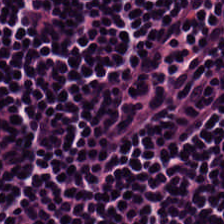Q: What is shown in this field?
A: The field shows lymphocyte aggregate.
